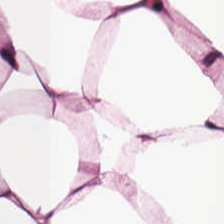Stain: hematoxylin and eosin.
Classification: adipocytes.
